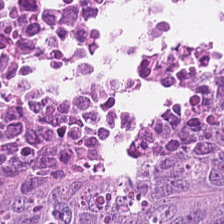Hematoxylin-and-eosin stained section.
Tissue class = adenocarcinoma.
